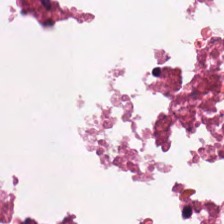H&E — debris.
